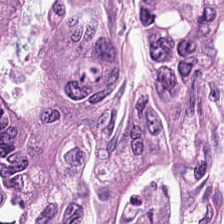The predominant tissue is malignant epithelium.
